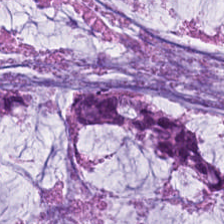H&E stain; brightfield; formalin-fixed paraffin-embedded section — Tissue: mucin.
